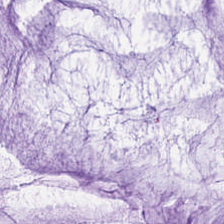Q: What is the predominant tissue type?
A: Extracellular mucin.
